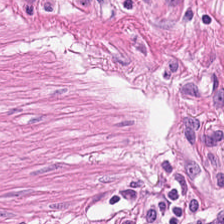H&E patch showing smooth-muscle tissue.
